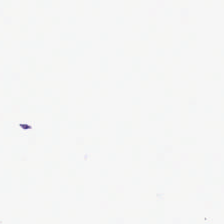Stain: hematoxylin-and-eosin stained section.
Content: no tissue.
